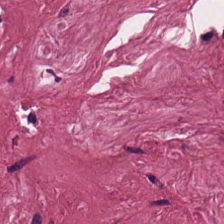0.5 µm/px · H&E — Histology → cancer-associated stroma.
